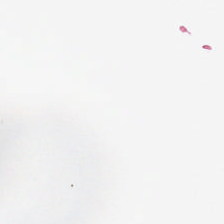Classification — no tissue.
